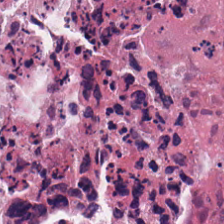Hematoxylin-and-eosin stained section. Q: Classify this patch.
A: It is necrotic debris.
